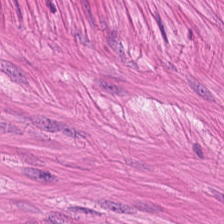H&E; WSI patch. The tissue class is muscularis.
